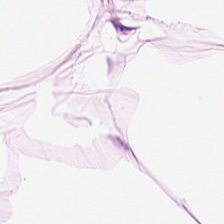Hematoxylin-and-eosin stained section. 0.5 µm per pixel. This field is fat tissue.
